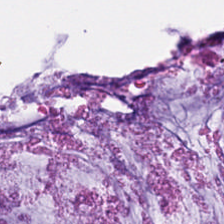H&E-stained tissue section.
Predominantly mucus.
